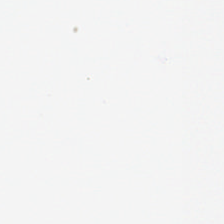Hematoxylin-and-eosin stained section.
Impression → empty background.
